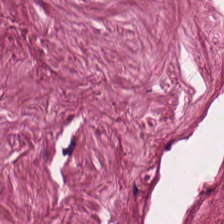H&E stain · WSI patch.
Tissue type — desmoplastic stroma.
